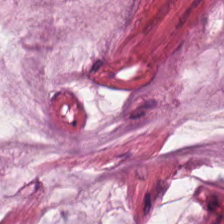Q: What is shown in this field?
A: This is mucin.
